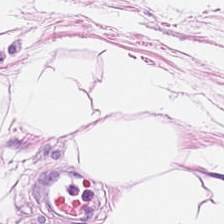Hematoxylin-and-eosin stained section. Finding — adipose tissue.
